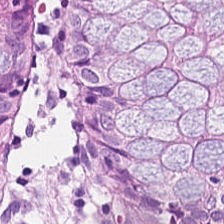224×224 px patch; hematoxylin and eosin. Histology → normal colon mucosa.
